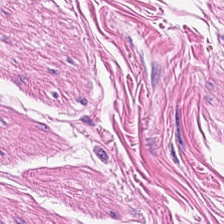Stain: H&E-stained tissue section.
Preparation: FFPE tissue section.
Resolution: 20× equivalent magnification.
Tissue type: smooth-muscle tissue.
